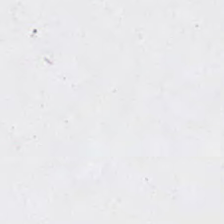0.5 microns per pixel; H&E-stained tissue section; formalin-fixed paraffin-embedded section.
No tissue present; background only.
